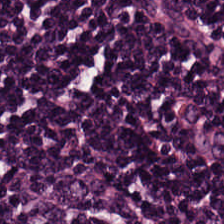This field is lymphoid infiltrate.
